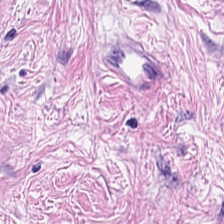Hematoxylin-and-eosin stained section.
Q: What is shown in this field?
A: Tumor stroma.
